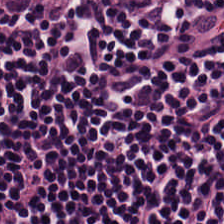H&E — Tissue = lymphocyte aggregate.
